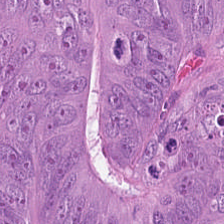Formalin-fixed paraffin-embedded section · 0.5 µm per pixel · hematoxylin and eosin.
Q: What does this patch show?
A: Malignant epithelium.
